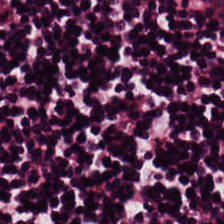H&E.
Tissue = lymphocytes.
